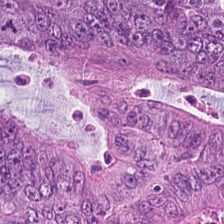Tumor epithelium.
